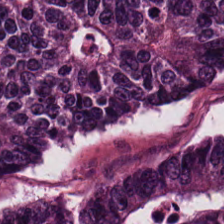H&E stain. Impression → colorectal adenocarcinoma.
